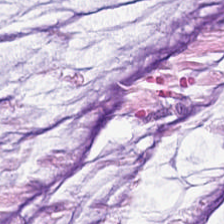224×224 px patch · H&E.
The classification is mucus.
